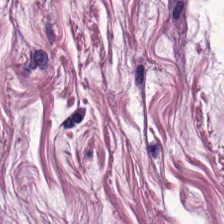H&E — {"tissue_type": "smooth-muscle tissue"}
